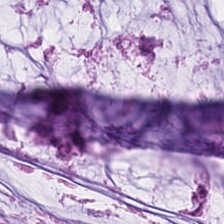H&E stain. Histology → extracellular mucin.
